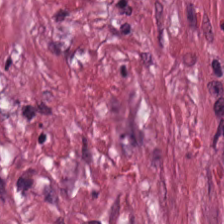Stain: H&E.
Classification: desmoplastic stroma.
